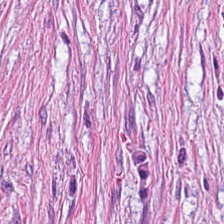H&E-stained tissue section. {"tissue_type": "cancer-associated stroma"}
